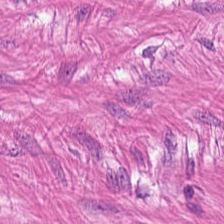Stain: hematoxylin and eosin.
Tissue: smooth-muscle tissue.
